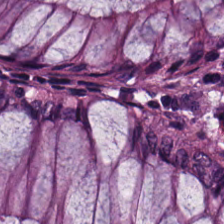Brightfield · H&E-stained tissue section — Predominant tissue: normal colonic mucosa.
